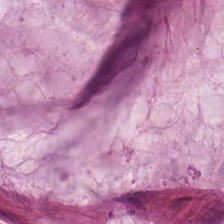Brightfield microscopy. 20× equivalent magnification. Hematoxylin-and-eosin stained section.
The tissue here is extracellular mucin.
